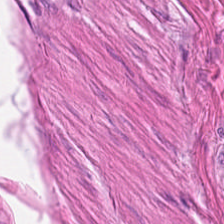The classification is smooth-muscle tissue.
